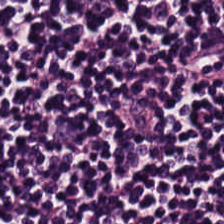Brightfield microscopy · H&E-stained tissue section.
Tissue = lymphocytic infiltrate.
